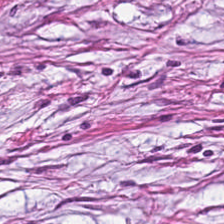H&E. FFPE tissue section. Brightfield microscopy.
Tissue class: tumor-associated stroma.
